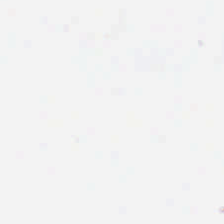No tissue present; background only.
